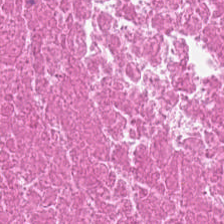Hematoxylin-and-eosin stained section. WSI patch — Histology — cellular debris.
